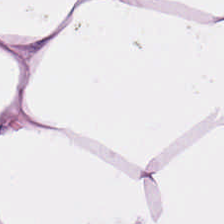H&E — Q: What is shown in this field?
A: It is fat tissue.
